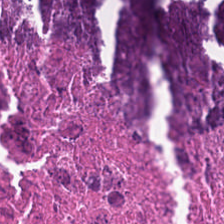H&E-stained tissue section. Q: What tissue is shown?
A: This is cellular debris.
